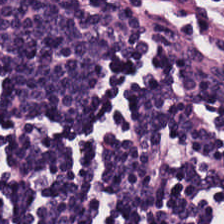Hematoxylin-and-eosin stained section — Predominant tissue = lymphocytic infiltrate.
